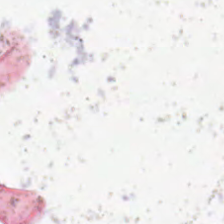H&E stain; 0.5 µm per pixel — This field is background (no tissue).
